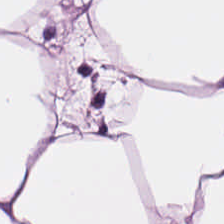0.5 µm per pixel · H&E-stained tissue section — The predominant tissue is fat tissue.
